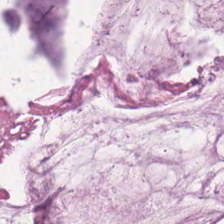H&E. This patch shows extracellular mucin.
